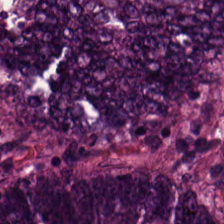Hematoxylin-and-eosin stained section. Brightfield. Classification = colorectal adenocarcinoma.
